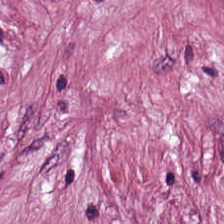FFPE; H&E-stained tissue section — The tissue type is cancer-associated stroma.
